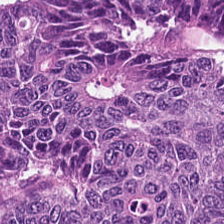Q: Classify this patch.
A: The field shows colorectal adenocarcinoma.
